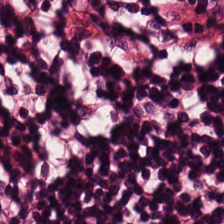H&E-stained tissue section — Tissue class — lymphocyte aggregate.
